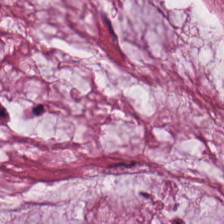H&E — Histology → extracellular mucin.
